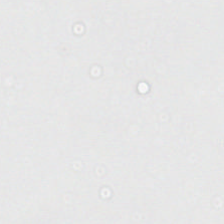Hematoxylin-and-eosin stained section · formalin-fixed paraffin-embedded section — This patch shows background.
